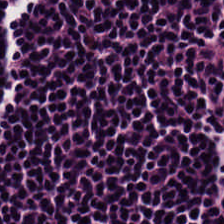H&E-stained tissue section · FFPE · 20× equivalent magnification — {"tissue_type": "lymphoid infiltrate"}
